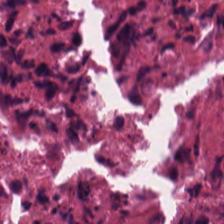Hematoxylin and eosin. Q: What tissue is shown?
A: The field shows necrotic debris.
